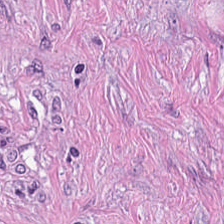H&E-stained tissue section · 224×224 px tile · 0.5 microns per pixel. Classification — tumor-associated stroma.
